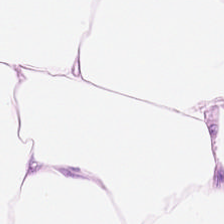Hematoxylin and eosin. 0.5 microns per pixel — Impression → fat tissue.
